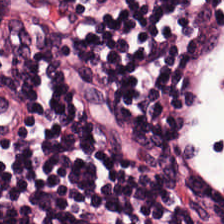H&E stain.
The predominant tissue is lymphocyte aggregate.
